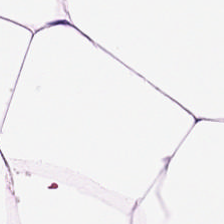Impression → adipose tissue.
